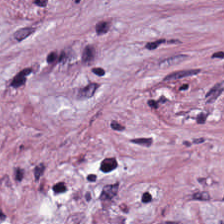Predominant tissue = tumor stroma.
